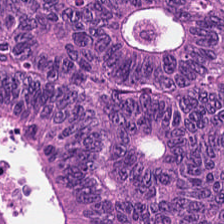Stain: hematoxylin and eosin.
Tile size: 224×224 px patch.
Resolution: 0.5 µm/px.
Tissue: malignant epithelium.
